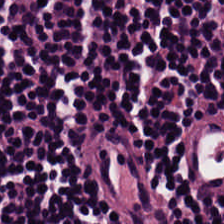H&E-stained tissue section.
This field is lymphocyte aggregate.
